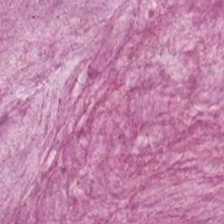H&E. Formalin-fixed paraffin-embedded section.
The predominant tissue is mucus.
